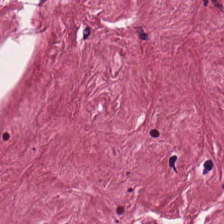H&E — Tissue type: tumor-associated stroma.
